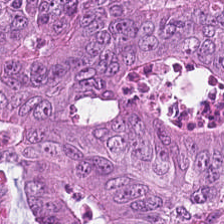224×224 px tile · H&E-stained tissue section.
Classification: malignant epithelium.
